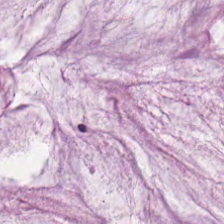Stain: H&E stain.
Preparation: formalin-fixed paraffin-embedded section.
Tissue type: mucus.
